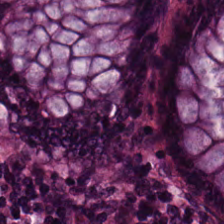H&E stain — This patch shows lymphocyte aggregate.
